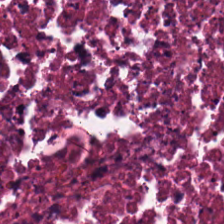H&E-stained tissue section · formalin-fixed paraffin-embedded section — The predominant tissue is necrotic debris.
